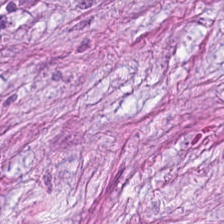Hematoxylin and eosin. Whole-slide-image patch — Classification — desmoplastic stroma.
